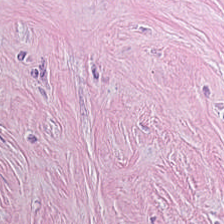Stain: hematoxylin and eosin.
Tissue type: desmoplastic stroma.
